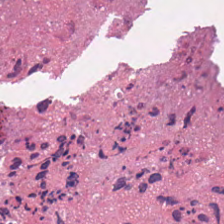224×224 px patch · H&E-stained tissue section · FFPE tissue section — Q: What tissue type is shown here?
A: Cellular debris.
